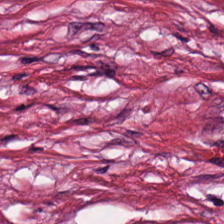H&E-stained tissue section — Tissue type: tumor-associated stroma.
